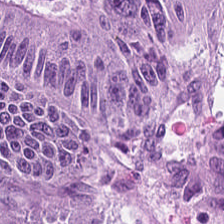H&E stain.
Tissue class = colorectal adenocarcinoma.
